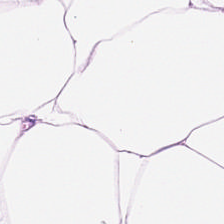H&E-stained tissue section.
The tissue type is fat tissue.
